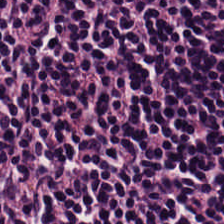H&E stain. 20× equivalent magnification. 224×224 pixel tile — This field is lymphoid infiltrate.
